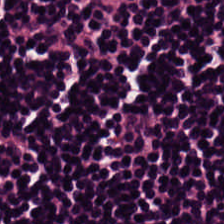H&E. 224×224 pixel tile.
Predominant tissue — lymphocyte aggregate.
